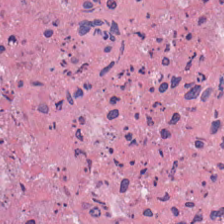Hematoxylin and eosin. Q: What is shown in this field?
A: This is cellular debris.
